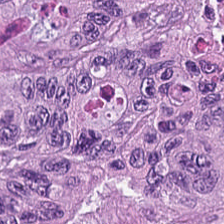Formalin-fixed paraffin-embedded section; H&E-stained tissue section. Finding — tumor epithelium.
